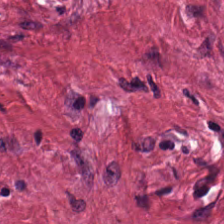Hematoxylin-and-eosin stained section. Finding → cancer-associated stroma.
